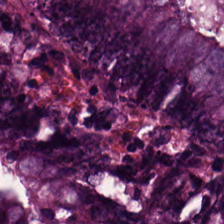Finding → colorectal adenocarcinoma epithelium.
